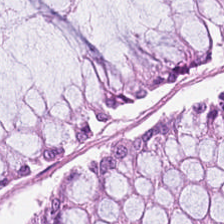H&E stain; FFPE.
Impression → normal colon mucosa.
